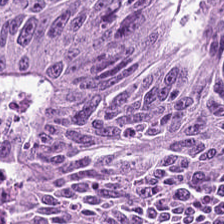Hematoxylin-and-eosin stained section. The predominant tissue is malignant epithelium.
